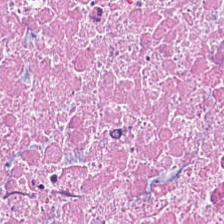224×224 px patch. Whole-slide-image patch. Hematoxylin and eosin — The predominant tissue is debris.
